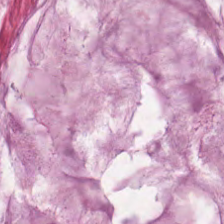The tissue here is mucus.
